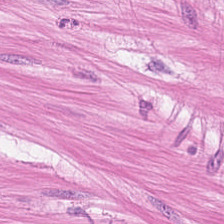Impression — smooth-muscle tissue.
